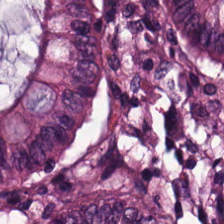224×224 px tile; brightfield microscopy; hematoxylin and eosin — Predominantly normal colonic mucosa.
